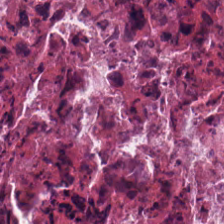Hematoxylin-and-eosin stained section.
This patch shows debris.
